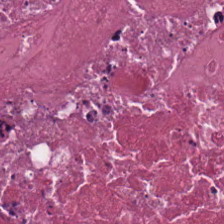Hematoxylin and eosin; 0.5 µm per pixel — Showing debris.
